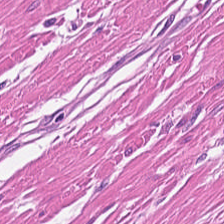Showing smooth-muscle tissue.
